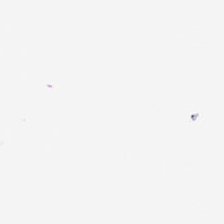H&E; FFPE tissue section.
Finding — background.
